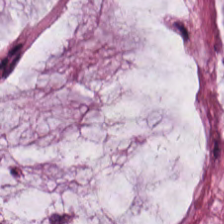Hematoxylin-and-eosin stained section. Classification — mucin.
